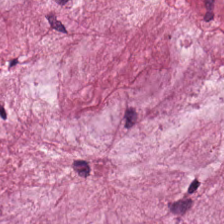H&E patch showing extracellular mucin.
